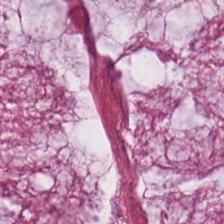H&E stain.
This patch shows mucus.
